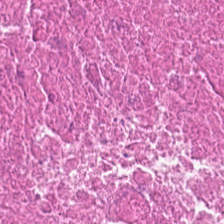Stain: H&E stain.
Predominant tissue: cellular debris.
